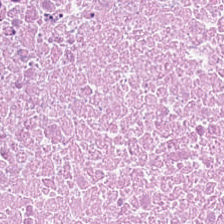H&E — This patch shows necrotic debris.
